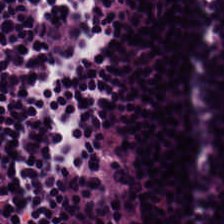Showing lymphocytes.
